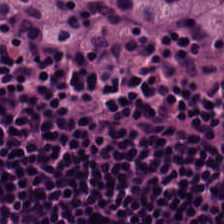Hematoxylin and eosin · brightfield microscopy. The tissue class is lymphocytic infiltrate.
